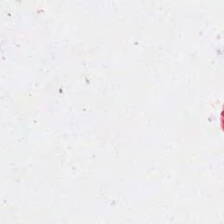This patch shows background (no tissue).
